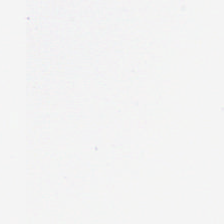Stain: H&E.
Content: no tissue.
